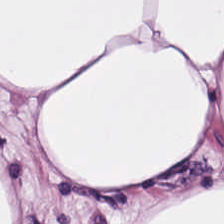0.5 µm/px. Hematoxylin and eosin — {"tissue_type": "adipose tissue"}
